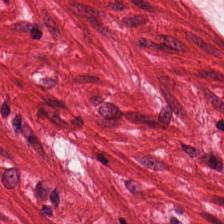H&E-stained tissue section.
Tissue type — smooth muscle.
